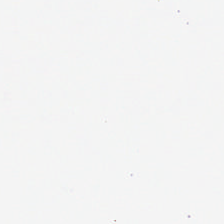Field content: no tissue.
